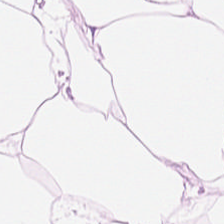Q: What is shown here?
A: Adipocytes.
